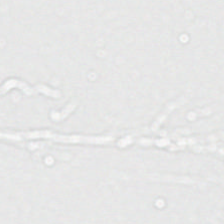Stain: H&E-stained tissue section.
Field content: no tissue.
